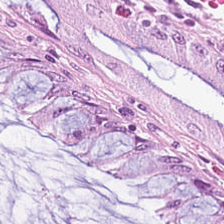This field is normal colon mucosa.
